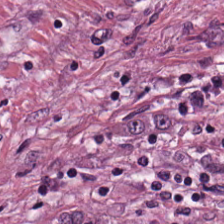This patch shows tumor-associated stroma.
